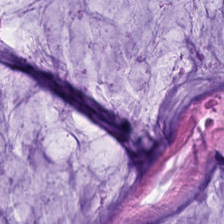H&E stain — {"tissue_type": "mucin"}
